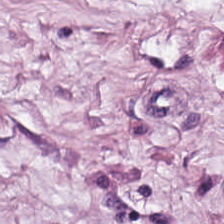This field is fat tissue.
